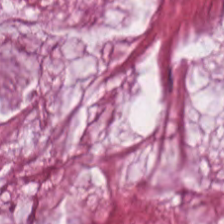H&E.
Q: What tissue is shown?
A: The field shows mucus.
